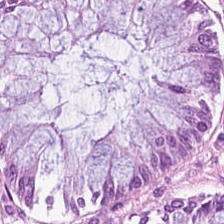Q: What is shown in this field?
A: The field shows normal colon mucosa.
